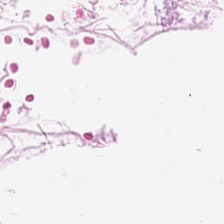Hematoxylin-and-eosin stained section; formalin-fixed paraffin-embedded section — The classification is adipose.
